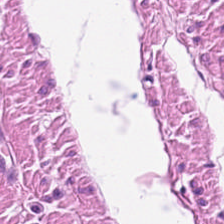The tissue type is muscularis.
